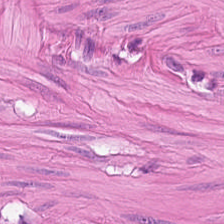FFPE tissue section · hematoxylin-and-eosin stained section. This field is smooth-muscle tissue.
